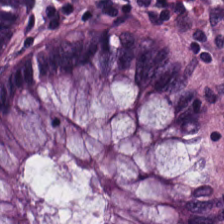This patch shows normal colonic mucosa.
